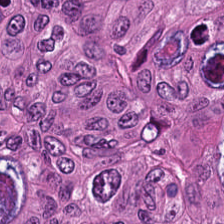Hematoxylin-and-eosin stained section — Q: What tissue is shown?
A: This is colorectal adenocarcinoma.
